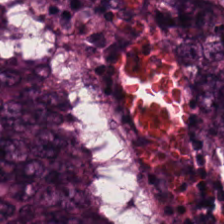H&E — colorectal adenocarcinoma.
